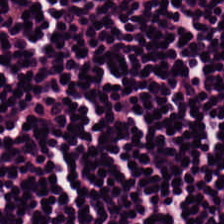224×224 px patch; H&E.
Predominant tissue = lymphocytes.
